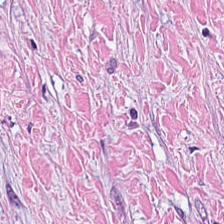224×224 pixel tile; H&E; FFPE tissue section.
Finding — cancer-associated stroma.
